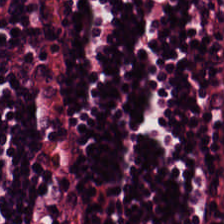H&E-stained tissue section.
Showing lymphocyte aggregate.
